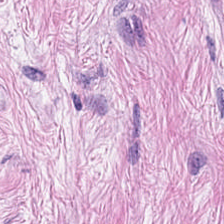224×224 pixel tile · H&E stain — Showing tumor stroma.
